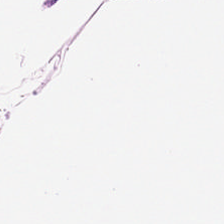Hematoxylin and eosin.
Q: What type of tissue is this?
A: The field shows fat tissue.
